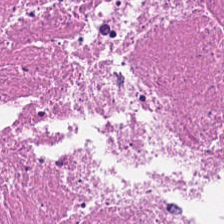H&E. FFPE tissue section.
Tissue type: cellular debris.
